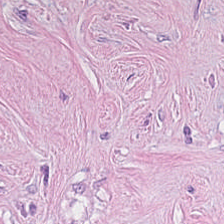Hematoxylin and eosin · FFPE tissue section — {"tissue_type": "tumor stroma"}
